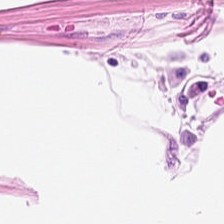Hematoxylin and eosin.
Classification = fat tissue.
